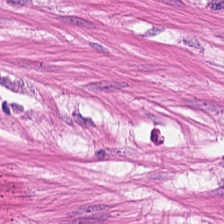224×224 px tile. 0.5 µm/px. H&E — Q: What type of tissue is this?
A: The field shows muscularis.
